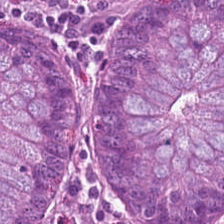This patch shows benign colonic mucosa.
